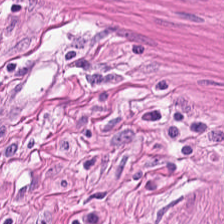WSI patch; H&E — Impression → smooth muscle.
